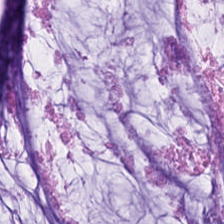Stain: H&E.
Classification: mucus.
